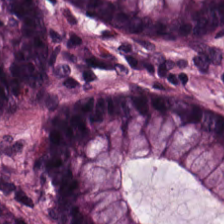The tissue here is non-neoplastic colon mucosa.
